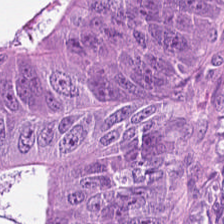H&E.
Tissue = colorectal adenocarcinoma.
